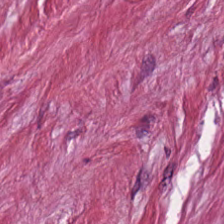Hematoxylin-and-eosin stained section.
Q: What type of tissue is this?
A: The field shows tumor stroma.
